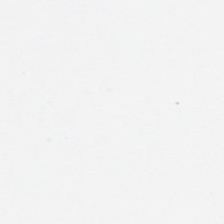Finding → empty background.
